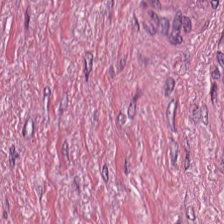H&E-stained tissue section.
Cancer-associated stroma.
